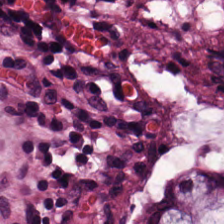Normal colon mucosa.
